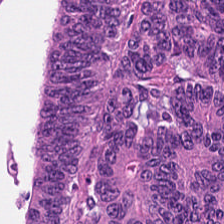H&E.
The tissue here is tumor epithelium.
